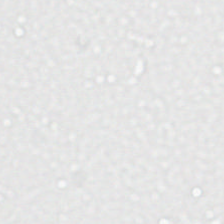Empty field — background (no tissue).
